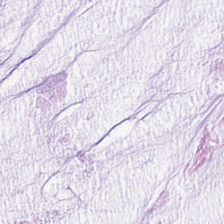H&E stain.
The predominant tissue is mucus.
